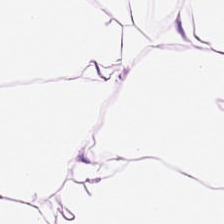Formalin-fixed paraffin-embedded section; hematoxylin and eosin.
Predominantly fat tissue.
